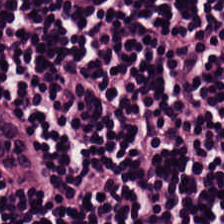Showing lymphocyte aggregate.
